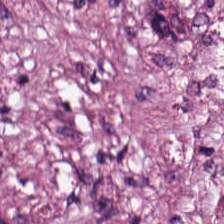Whole-slide-image patch · hematoxylin-and-eosin stained section. Tissue class = cancer-associated stroma.
